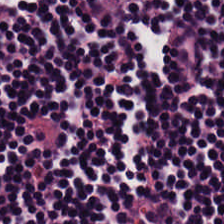0.5 microns per pixel. H&E-stained tissue section.
Q: What is the predominant tissue type?
A: Lymphocytic infiltrate.
